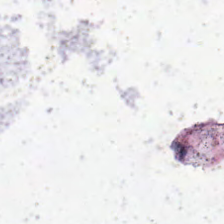FFPE tissue section · whole-slide-image patch · hematoxylin-and-eosin stained section. Q: What is shown in this field?
A: It is no tissue.
